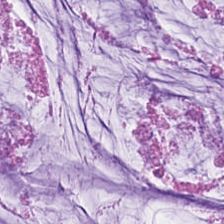Stain: H&E-stained tissue section.
Predominant tissue: mucus.
